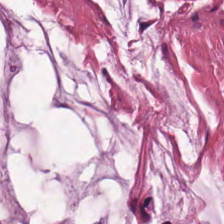224×224 px tile. Hematoxylin and eosin.
Tissue type — extracellular mucin.
